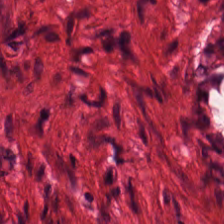H&E stain. This field is smooth-muscle tissue.
